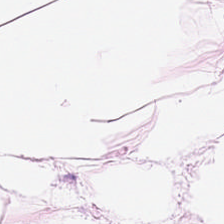Hematoxylin-and-eosin stained section. Adipose tissue.
